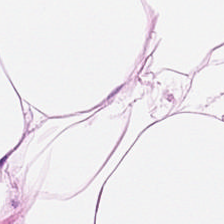Hematoxylin-and-eosin stained section. FFPE. Whole-slide-image patch — Impression → adipose.
